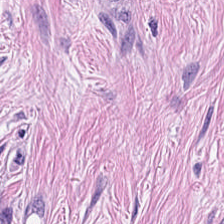Hematoxylin-and-eosin stained section. Q: What is shown here?
A: Cancer-associated stroma.
